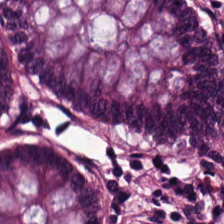Stain: hematoxylin and eosin.
Preparation: FFPE tissue section.
Resolution: 0.5 µm per pixel.
Tissue class: normal colonic mucosa.
